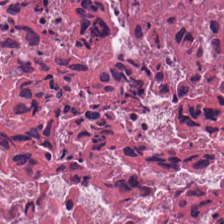Stain: H&E stain.
Tissue class: necrotic debris.
